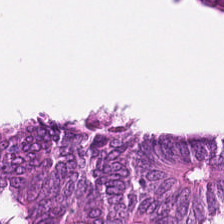H&E stain. FFPE tissue section. Classification = colorectal adenocarcinoma.
